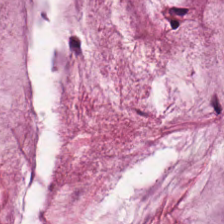H&E stain. Finding → mucin.
